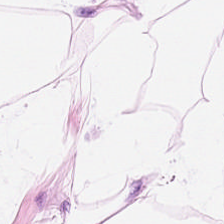FFPE tissue section. Hematoxylin and eosin. Histology → adipose.
